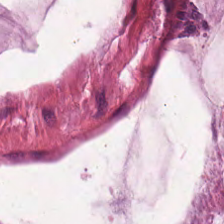H&E-stained tissue section. 224×224 pixel tile — Histology → extracellular mucin.
